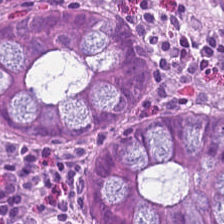H&E stain. This patch shows benign colonic mucosa.
